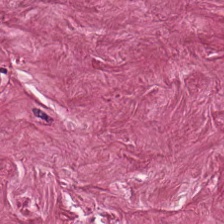Stain: hematoxylin and eosin.
Tissue: tumor stroma.
